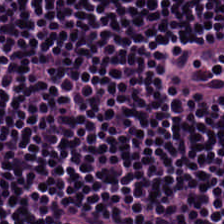WSI patch. H&E.
The tissue class is lymphocyte aggregate.
